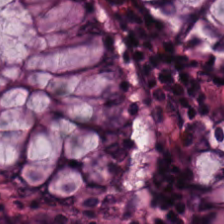Stain: H&E.
Tile size: 224×224 px patch.
Acquisition: whole-slide-image patch.
Classification: normal colon mucosa.
